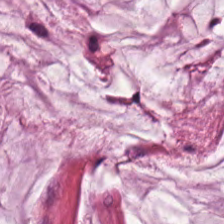Showing mucin.
